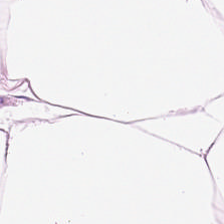Brightfield microscopy · H&E stain. Histology — adipocytes.
